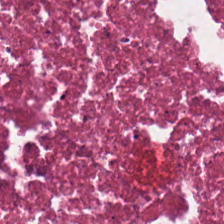Brightfield. 224×224 px tile. Hematoxylin and eosin — Tissue: cellular debris.
